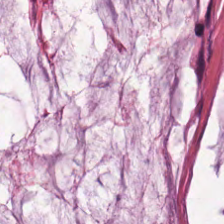Hematoxylin-and-eosin stained section — Classification — mucus.
